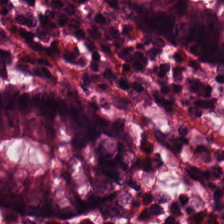H&E-stained tissue section.
Q: Classify this patch.
A: Normal colon mucosa.
